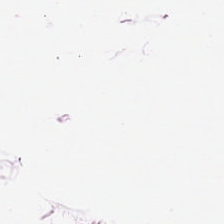H&E — Q: What is shown here?
A: It is fat tissue.
